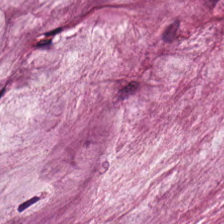Hematoxylin and eosin.
Classification — mucus.
